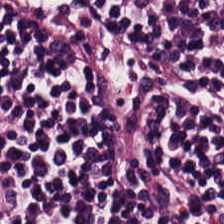H&E stain.
Finding — lymphoid infiltrate.
